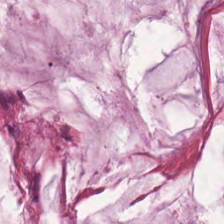{"tissue_type": "extracellular mucin"}
